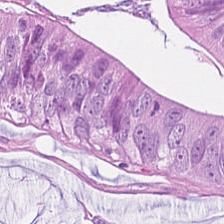Hematoxylin and eosin. FFPE. 224×224 px tile. Histology — colorectal adenocarcinoma.
